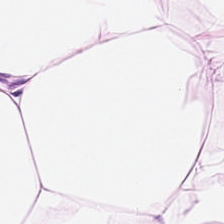WSI patch · hematoxylin-and-eosin stained section.
Q: What type of tissue is this?
A: It is adipose.
